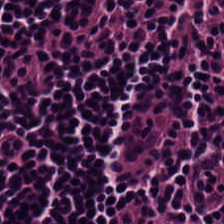Hematoxylin and eosin.
The classification is lymphocytic infiltrate.
